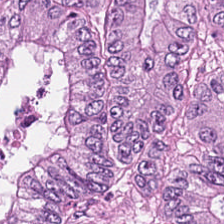H&E-stained tissue section. Histology — colorectal adenocarcinoma.
